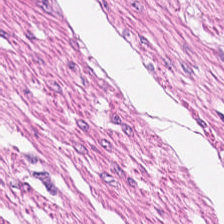H&E — The tissue is smooth-muscle tissue.
